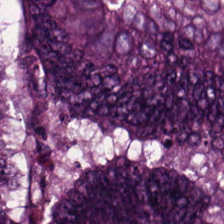Hematoxylin-and-eosin stained section; 224×224 px tile. This patch shows tumor epithelium.
